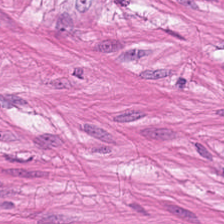Brightfield microscopy. H&E — This patch shows smooth-muscle tissue.
